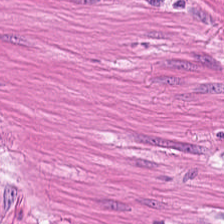Finding — smooth-muscle tissue.
